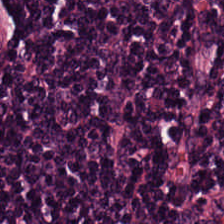Finding — lymphocytic infiltrate.
